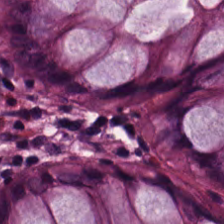H&E; 0.5 microns per pixel; brightfield microscopy.
The tissue here is normal colon mucosa.
